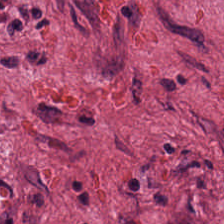H&E-stained tissue section. Impression — desmoplastic stroma.
